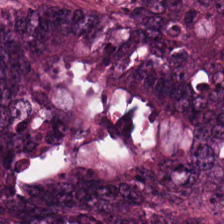H&E-stained tissue section — The classification is colorectal adenocarcinoma.
